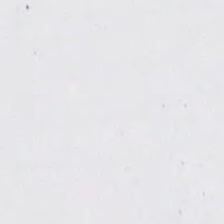Hematoxylin-and-eosin stained section. Background — no tissue in this field.
